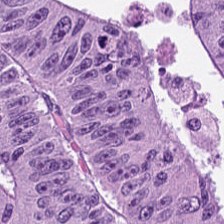H&E stain. Whole-slide-image patch. FFPE tissue section — Showing colorectal adenocarcinoma.
